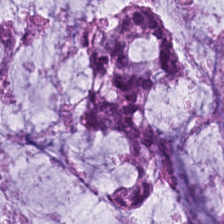H&E patch showing extracellular mucin.
